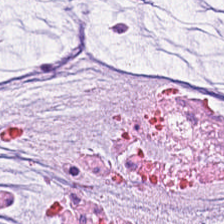224×224 px patch. H&E — Showing mucus.
